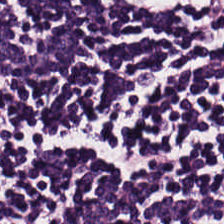Formalin-fixed paraffin-embedded section. H&E. Q: What tissue type is shown here?
A: Lymphocytes.
